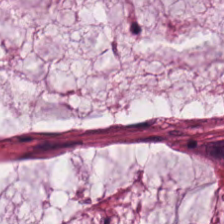This field is extracellular mucin.
